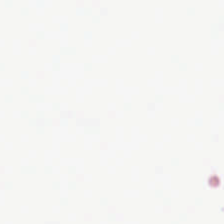Brightfield. H&E. Impression — no tissue.
